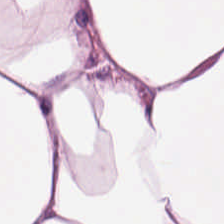224×224 pixel tile; hematoxylin-and-eosin stained section; brightfield.
This patch shows adipose.
